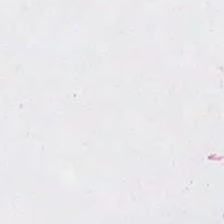20× equivalent magnification. Whole-slide-image patch. Hematoxylin and eosin. No tissue present; background only.
